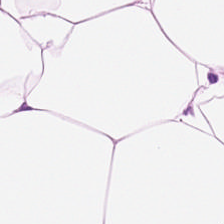Classification — adipose.
